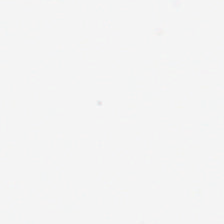Q: What does this patch show?
A: It is empty background.
